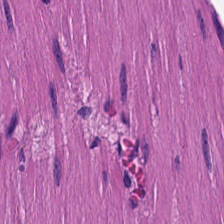Impression — smooth-muscle tissue.
